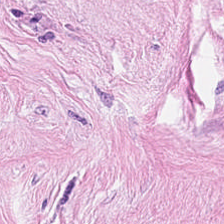FFPE; hematoxylin and eosin. Tissue — cancer-associated stroma.
